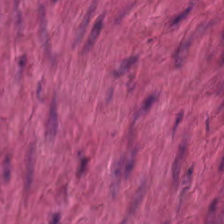Hematoxylin-and-eosin stained section — {"tissue_type": "muscularis"}
